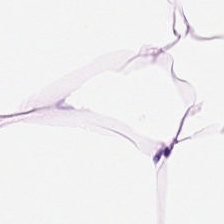H&E stain; 0.5 µm per pixel. This patch shows fat tissue.
